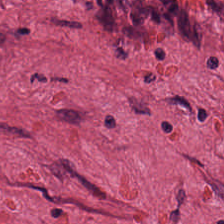Showing desmoplastic stroma.
